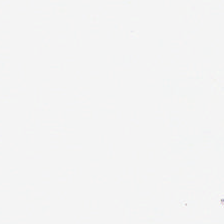This field is background (no tissue).
